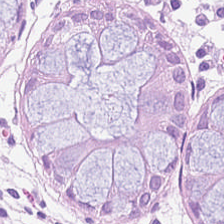Formalin-fixed paraffin-embedded section; 0.5 microns per pixel; H&E.
The tissue here is normal colonic mucosa.
